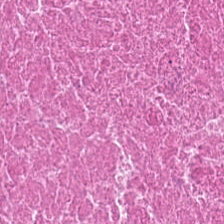The predominant tissue is cellular debris.
